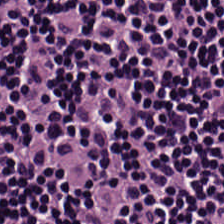224×224 pixel tile; hematoxylin and eosin. Predominantly lymphoid infiltrate.
